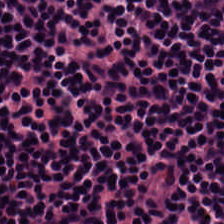H&E stain. Predominant tissue = lymphocytic infiltrate.
